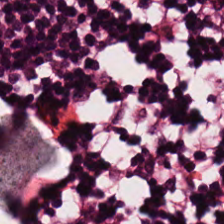Brightfield. H&E-stained tissue section.
This patch shows lymphocytic infiltrate.
